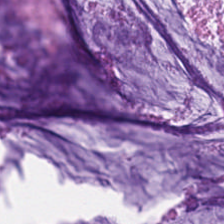H&E stain — Predominant tissue = extracellular mucin.
